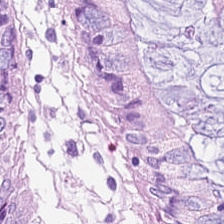H&E stain.
Predominant tissue: non-neoplastic colon mucosa.
